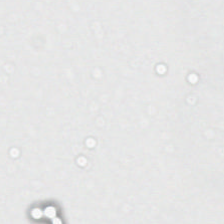H&E-stained tissue section.
The content is background.
